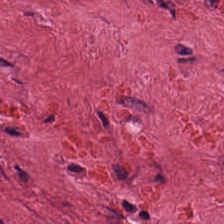H&E. Predominantly tumor-associated stroma.
